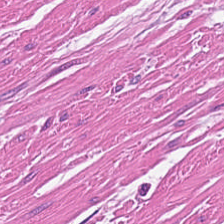Hematoxylin-and-eosin stained section. This patch shows smooth-muscle tissue.
